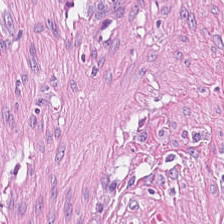H&E — Histology — cancer-associated stroma.
